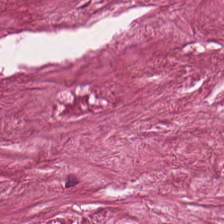Formalin-fixed paraffin-embedded section; H&E stain; 0.5 microns per pixel — Predominantly tumor stroma.
